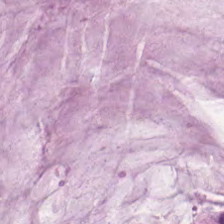{"tissue_type": "extracellular mucin"}
